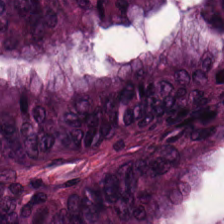H&E-stained tissue section — The predominant tissue is tumor epithelium.
